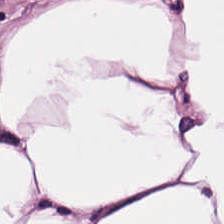0.5 µm per pixel. Formalin-fixed paraffin-embedded section. H&E-stained tissue section. Q: What is shown in this field?
A: The field shows adipose.
